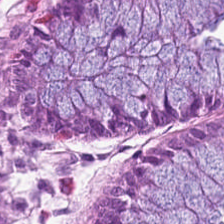H&E — benign colonic mucosa.
